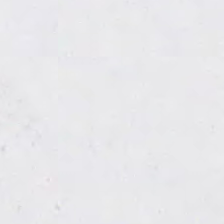Hematoxylin-and-eosin stained section; 224×224 pixel tile. This field is background (no tissue).
